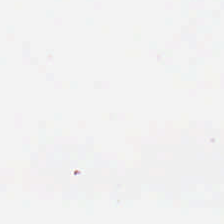H&E-stained tissue section. Classification: no tissue.
